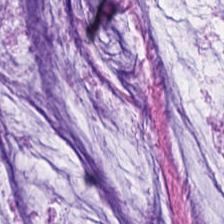H&E-stained tissue section · 0.5 microns per pixel — Q: Identify the tissue.
A: It is extracellular mucin.
